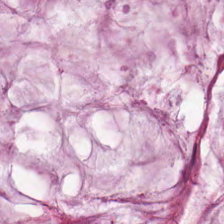Tissue class: mucus.
